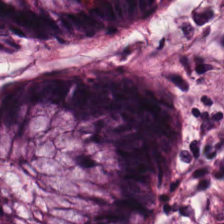H&E-stained tissue section.
This patch shows benign colonic mucosa.
